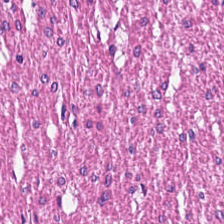H&E stain.
Q: What is shown here?
A: The field shows smooth-muscle tissue.
